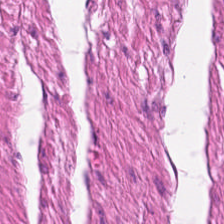Stain: H&E stain.
Tissue: muscularis.
